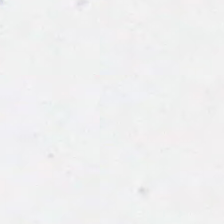H&E-stained tissue section · 224×224 px tile — The classification is no tissue.
